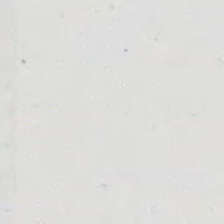Q: What is shown here?
A: Background (no tissue).
